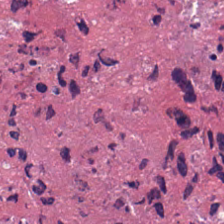Finding — cellular debris.
